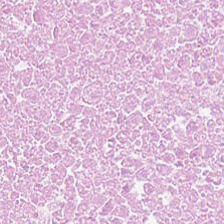Hematoxylin-and-eosin stained section — Tissue: cellular debris.
